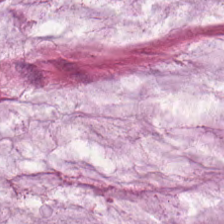H&E stain. Formalin-fixed paraffin-embedded section.
Tissue type = mucin.
